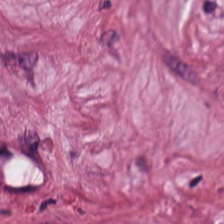20× equivalent magnification. H&E-stained tissue section. 224×224 px tile — Classification = desmoplastic stroma.
